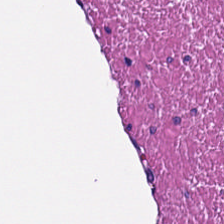Hematoxylin and eosin · FFPE — Predominant tissue = muscularis.
